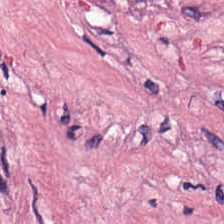0.5 microns per pixel. H&E stain.
Finding → tumor-associated stroma.
